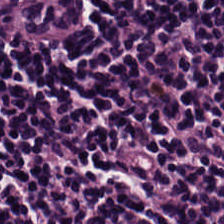WSI patch · 20× equivalent magnification · H&E-stained tissue section.
Q: What tissue type is shown here?
A: Lymphocytes.
